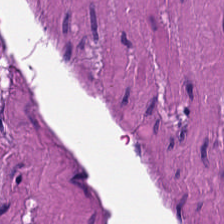FFPE tissue section · H&E stain · whole-slide-image patch.
Predominantly muscularis.
